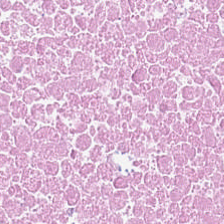224×224 px patch. Hematoxylin and eosin — Tissue = necrotic debris.
